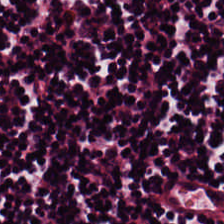H&E-stained section; the field shows lymphocyte aggregate.
